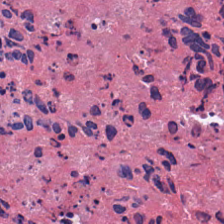Stain: hematoxylin and eosin.
Tile size: 224×224 px tile.
Resolution: 20× equivalent magnification.
Tissue class: necrotic debris.
